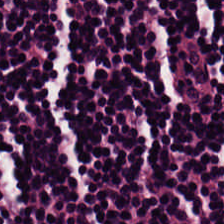H&E stain.
Tissue class — lymphocytes.
